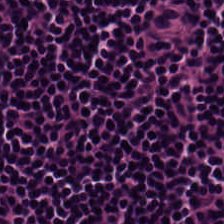Hematoxylin-and-eosin stained section. 20× equivalent magnification. Histology — lymphocyte aggregate.
